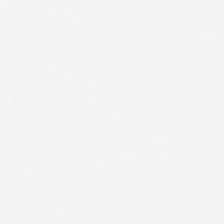Hematoxylin and eosin — Q: Classify this patch.
A: The field shows no tissue.
